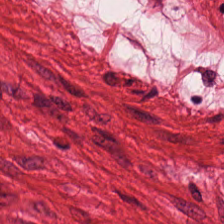Hematoxylin-and-eosin stained section. The predominant tissue is muscularis.
